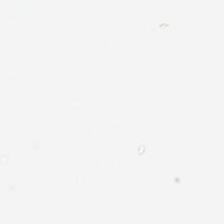Hematoxylin and eosin — Classification — empty background.
